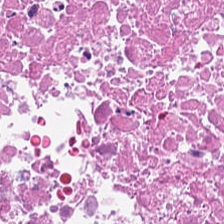Hematoxylin-and-eosin stained section; 0.5 µm/px.
Predominantly cellular debris.
